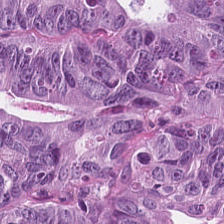H&E · 224×224 pixel tile — This field is colorectal adenocarcinoma.
